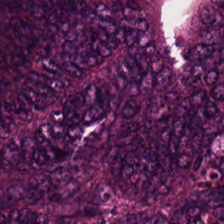H&E-stained section; the field shows tumor epithelium.
